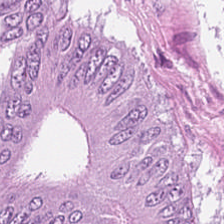20× equivalent magnification · H&E-stained tissue section · brightfield microscopy — Predominantly adenocarcinoma.
